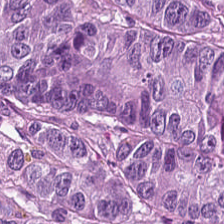H&E-stained tissue section; FFPE tissue section; 20× equivalent magnification — Tissue type — colorectal adenocarcinoma epithelium.
